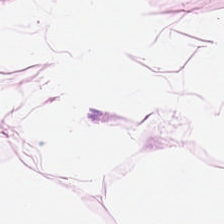H&E stain; 20× equivalent magnification; whole-slide-image patch. This patch shows fat tissue.
